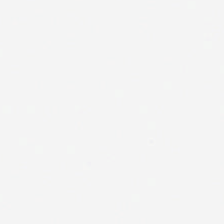H&E.
Content: no tissue.
